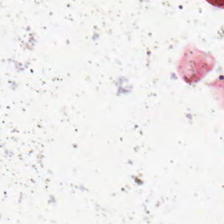224×224 px tile · hematoxylin and eosin — No tissue present; background only.
